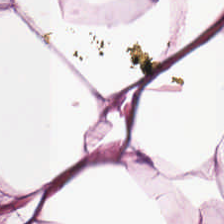H&E stain; FFPE — Impression — fat tissue.
